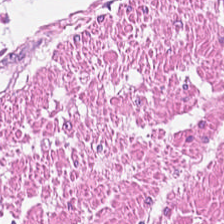Brightfield; H&E stain. The predominant tissue is smooth-muscle tissue.
